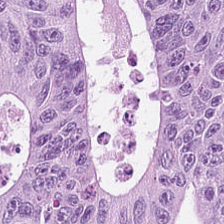Tissue type — adenocarcinoma.
